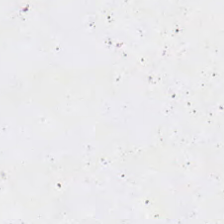The classification is background.
